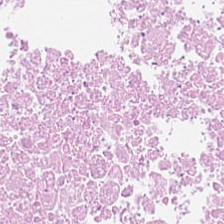The tissue type is necrotic debris.
